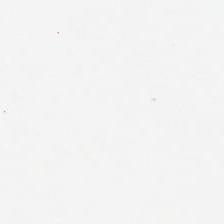H&E; 0.5 microns per pixel — Content = background.
